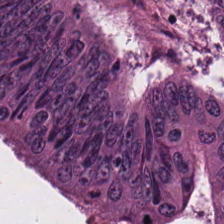FFPE; H&E stain.
Q: What is the predominant tissue type?
A: Adenocarcinoma.
